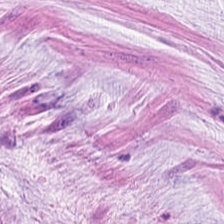H&E-stained tissue section.
Q: Classify this patch.
A: The field shows mucin.
